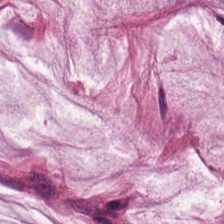Stain: hematoxylin-and-eosin stained section.
Tile size: 224×224 pixel tile.
Tissue class: mucus.
